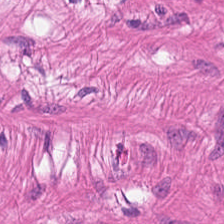WSI patch; 224×224 px patch; hematoxylin-and-eosin stained section.
The tissue type is smooth muscle.
